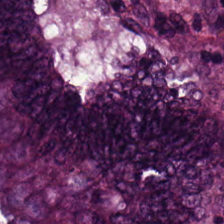Hematoxylin-and-eosin stained section.
Q: What is the predominant tissue type?
A: Malignant epithelium.
